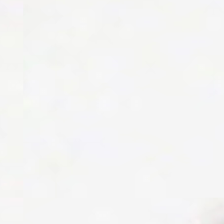This patch shows empty background.
